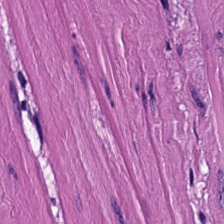0.5 µm/px. Hematoxylin and eosin. 224×224 px tile.
Predominantly muscularis.
